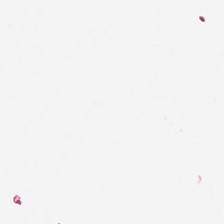Empty field — no tissue.
